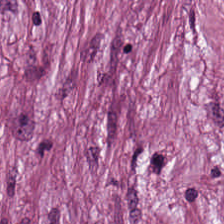Tissue type: tumor-associated stroma.
